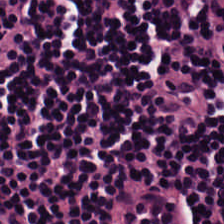Stain: H&E stain.
Preparation: FFPE tissue section.
Resolution: 20× equivalent magnification.
Tissue class: lymphocyte aggregate.
